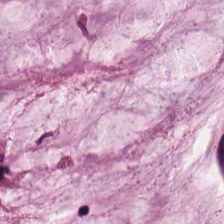Hematoxylin and eosin. 224×224 pixel tile.
Q: Identify the tissue.
A: The field shows mucin.
